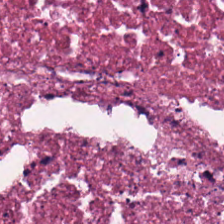Stain: H&E-stained tissue section.
Tissue class: debris.
